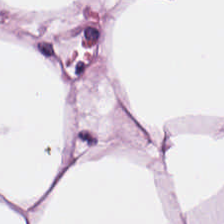Stain: H&E-stained tissue section.
Predominant tissue: fat tissue.
